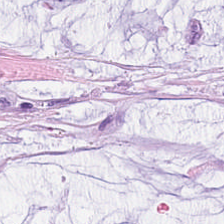H&E.
Tissue type: extracellular mucin.
